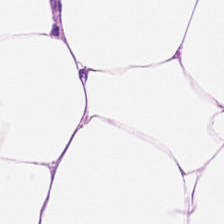H&E-stained tissue section. 224×224 pixel tile.
Adipose.
